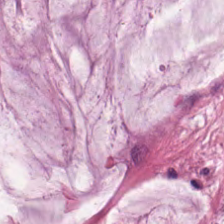Hematoxylin and eosin; 224×224 pixel tile. The predominant tissue is mucin.
